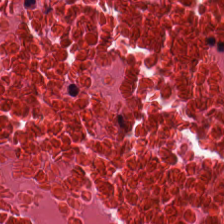Stain: hematoxylin and eosin.
Classification: necrotic debris.
